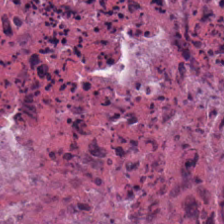Hematoxylin-and-eosin stained section. The predominant tissue is cellular debris.
